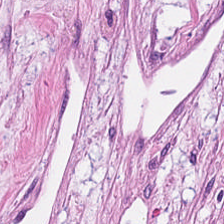Hematoxylin-and-eosin stained section. The tissue class is cancer-associated stroma.
